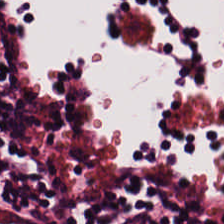Formalin-fixed paraffin-embedded section; H&E. {"tissue_type": "lymphoid infiltrate"}
